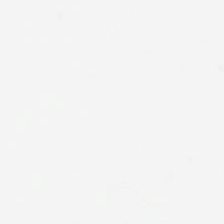Hematoxylin-and-eosin stained section. Content: empty background.
